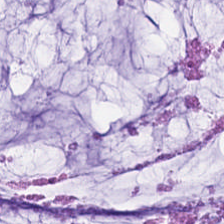H&E stain. Extracellular mucin.
